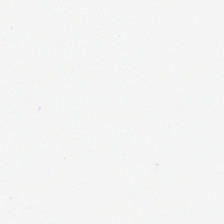Hematoxylin and eosin — Histology → background.
